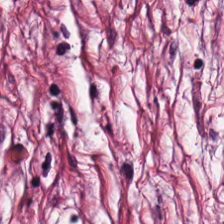H&E — This field is tumor-associated stroma.
